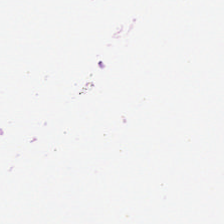Background — no tissue in this field.
